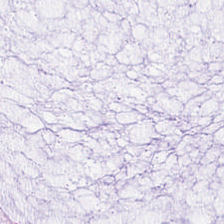Q: What does this patch show?
A: This is mucin.
